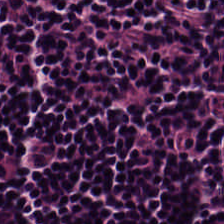H&E.
Showing lymphoid infiltrate.
